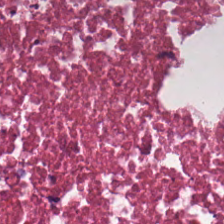Brightfield. Hematoxylin-and-eosin stained section. 20× equivalent magnification. Predominantly necrotic debris.
